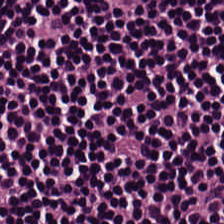H&E stain. FFPE tissue section.
The tissue type is lymphocytes.
